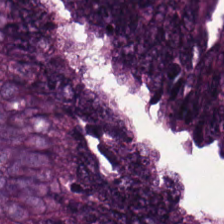H&E-stained tissue section. FFPE tissue section. 224×224 pixel tile. Predominantly colorectal adenocarcinoma.
